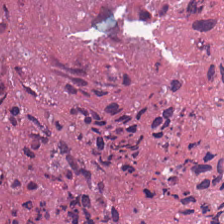Hematoxylin-and-eosin stained section · 224×224 px tile.
Q: What is shown in this field?
A: It is debris.
